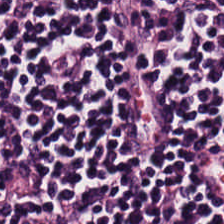Hematoxylin-and-eosin stained section. The tissue here is lymphocyte aggregate.
